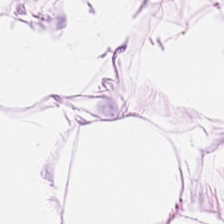Hematoxylin-and-eosin stained section.
Finding — fat tissue.
